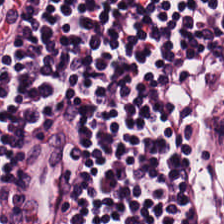H&E stain — Tissue class = lymphoid infiltrate.
